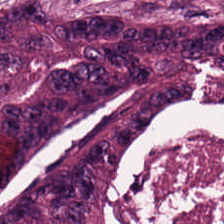Hematoxylin-and-eosin stained section.
Histology → colorectal adenocarcinoma epithelium.
